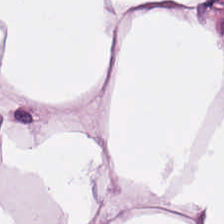H&E.
Tissue class — adipose.
